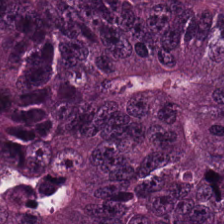Stain: H&E.
Tissue type: malignant epithelium.
